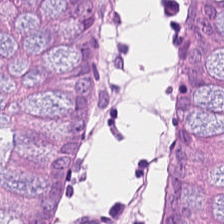20× equivalent magnification; H&E-stained tissue section.
Showing normal colon mucosa.
